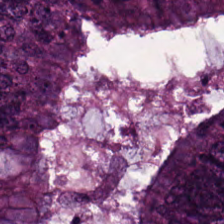H&E — The classification is adenocarcinoma.
